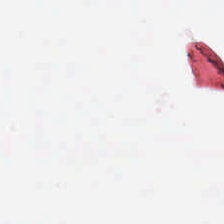Classification: background (no tissue).
